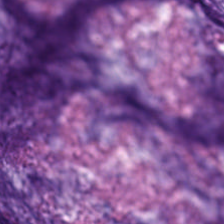Q: What is shown in this field?
A: The field shows mucus.
